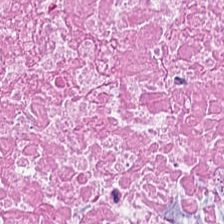H&E stain. 20× equivalent magnification. 224×224 px tile — Predominant tissue — debris.
